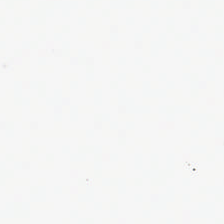Stain: H&E-stained tissue section.
Field content: empty background.
